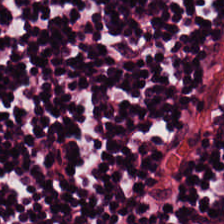Showing lymphocyte aggregate.
